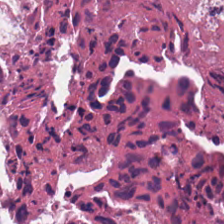Hematoxylin-and-eosin stained section. 224×224 px patch. Tissue type — debris.
